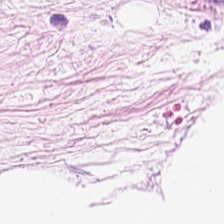FFPE tissue section. H&E-stained tissue section.
Showing adipose.
